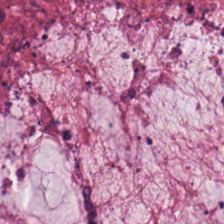H&E stain. Finding → mucin.
